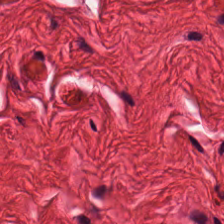H&E stain · 224×224 px patch.
Impression — smooth-muscle tissue.
